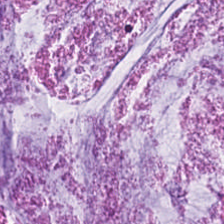H&E. Classification: mucin.
